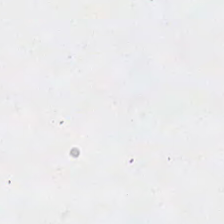WSI patch; 224×224 px tile; H&E stain.
The classification is background (no tissue).
